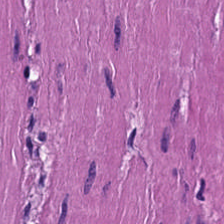H&E stain — {"tissue_type": "muscularis"}
